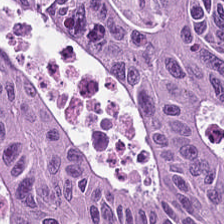Stain: hematoxylin-and-eosin stained section.
Resolution: 0.5 microns per pixel.
Predominant tissue: tumor epithelium.
